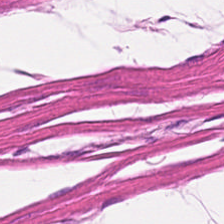H&E-stained tissue section.
The tissue here is muscularis.
